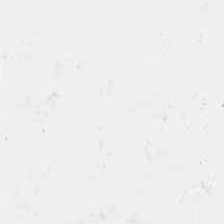Stain: hematoxylin-and-eosin stained section.
Classification: empty background.
